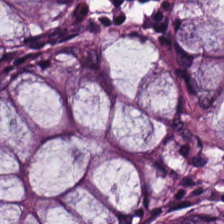Whole-slide-image patch. FFPE tissue section. H&E-stained tissue section. Finding — normal colon mucosa.
